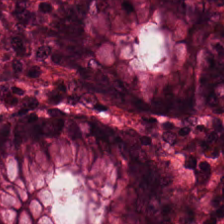Hematoxylin-and-eosin stained section.
Predominant tissue: benign colonic mucosa.
